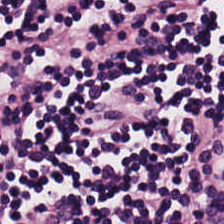Histology → lymphocyte aggregate.
